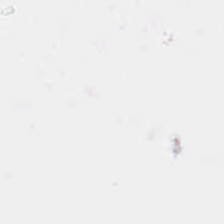No tissue present; background only.
